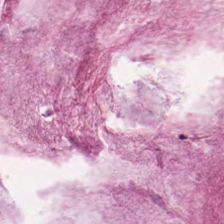Predominant tissue: mucin.
